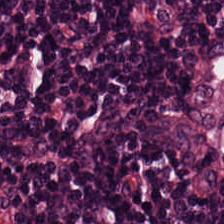H&E-stained tissue section. Classification = lymphocyte aggregate.
